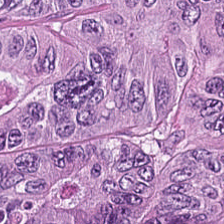Stain: H&E stain.
Acquisition: WSI patch.
Tissue type: tumor epithelium.
